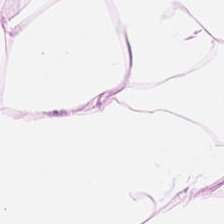{"tissue_type": "adipocytes"}
